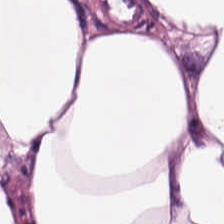Hematoxylin-and-eosin stained section — Q: Identify the tissue.
A: It is adipocytes.
